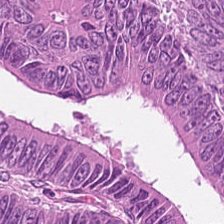H&E stain; brightfield microscopy; 0.5 µm per pixel.
{"tissue_type": "colorectal adenocarcinoma epithelium"}
